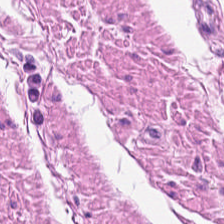Hematoxylin and eosin. Whole-slide-image patch.
The tissue type is smooth-muscle tissue.
